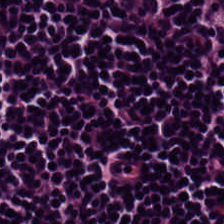Hematoxylin-and-eosin stained section — {"tissue_type": "lymphocytic infiltrate"}
